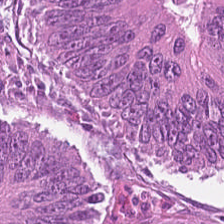Hematoxylin and eosin.
Impression — colorectal adenocarcinoma.
